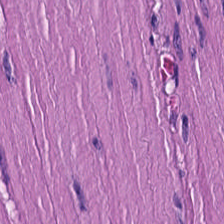This field is muscularis.
